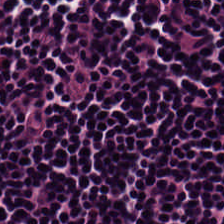Hematoxylin-and-eosin stained section. The tissue class is lymphoid infiltrate.
